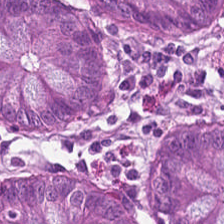Hematoxylin and eosin · brightfield microscopy · 224×224 px patch.
Predominantly non-neoplastic colon mucosa.
